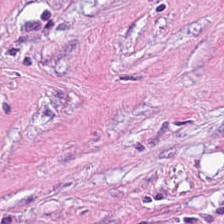FFPE. Hematoxylin and eosin. Showing tumor stroma.
